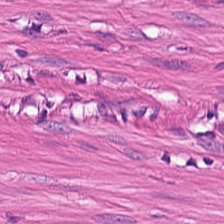Whole-slide-image patch; H&E-stained tissue section.
Tissue = muscularis.
